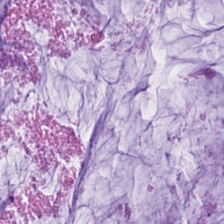H&E · 0.5 µm per pixel. Mucin.
